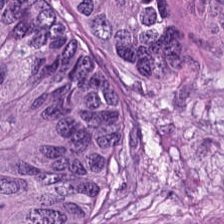H&E. Predominant tissue: tumor epithelium.
